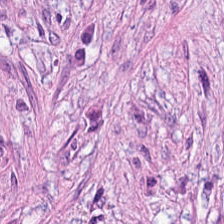Hematoxylin-and-eosin stained section. 0.5 µm per pixel — The predominant tissue is cancer-associated stroma.
